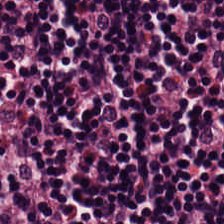WSI patch. FFPE. H&E-stained tissue section — Q: What type of tissue is this?
A: It is lymphocyte aggregate.
